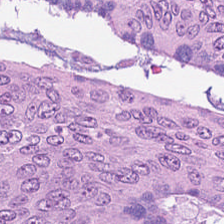Hematoxylin and eosin; formalin-fixed paraffin-embedded section.
{"tissue_type": "adenocarcinoma"}
